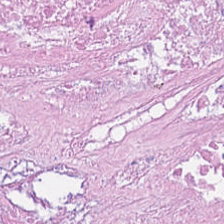Finding → cellular debris.
